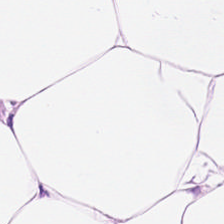WSI patch. Hematoxylin and eosin — Histology — fat tissue.
